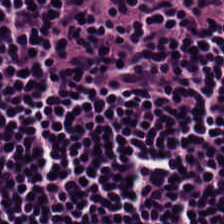Hematoxylin-and-eosin stained section. Finding → lymphocytic infiltrate.
